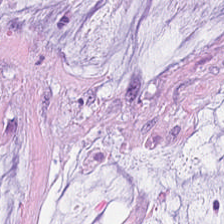H&E stain.
Q: Classify this patch.
A: This is mucus.
